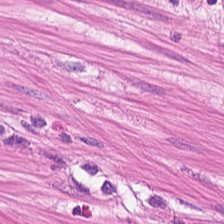Tissue type = muscularis.
